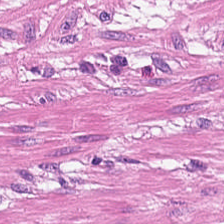H&E. Predominantly smooth-muscle tissue.
